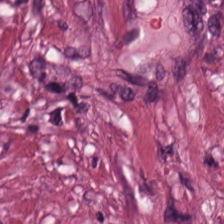H&E. 0.5 microns per pixel — Histology — tumor stroma.
